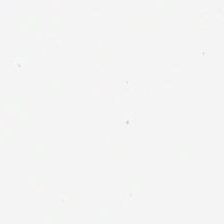Hematoxylin and eosin. WSI patch.
No tissue present; background only.
